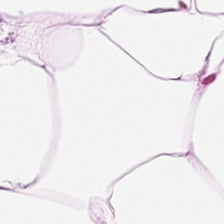20× equivalent magnification · 224×224 px tile · H&E — Showing fat tissue.
